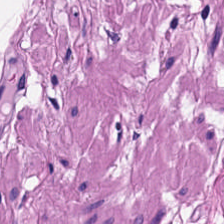Tissue: smooth muscle.
